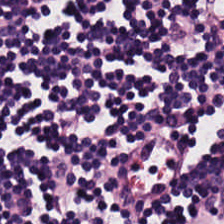0.5 microns per pixel. FFPE. H&E-stained tissue section.
The tissue class is lymphoid infiltrate.
